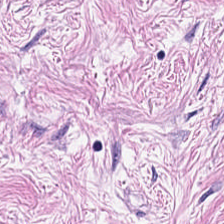H&E stain; 224×224 pixel tile. Q: What is the predominant tissue type?
A: The field shows tumor-associated stroma.
